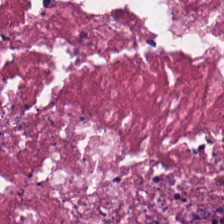Hematoxylin-and-eosin stained section · 224×224 px patch · 0.5 µm per pixel. Predominantly debris.
